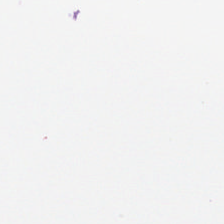0.5 microns per pixel. H&E. FFPE — Classification — no tissue.
